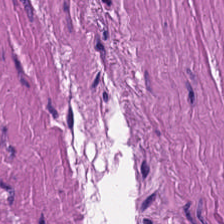H&E. Whole-slide-image patch. 224×224 pixel tile.
Q: Identify the tissue.
A: Smooth-muscle tissue.
